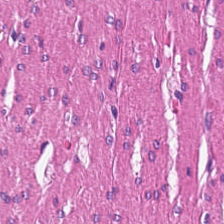Hematoxylin and eosin. This field is muscularis.
